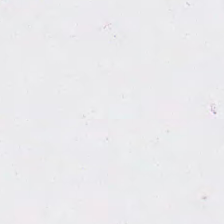Stain: hematoxylin-and-eosin stained section.
Preparation: FFPE tissue section.
Resolution: 0.5 µm per pixel.
Content: no tissue.
